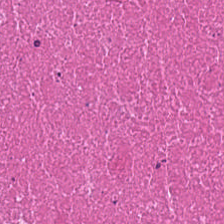H&E stain. The predominant tissue is necrotic debris.
